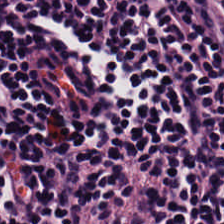The tissue here is lymphocyte aggregate.
